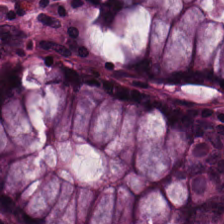The tissue type is non-neoplastic colon mucosa.
